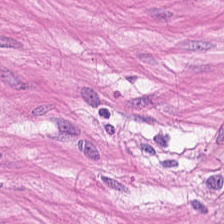Hematoxylin-and-eosin stained section. WSI patch. Q: What type of tissue is this?
A: The field shows muscularis.
